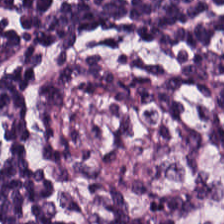Histology → lymphocytes.
